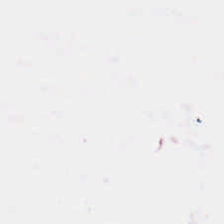Stain: hematoxylin-and-eosin stained section.
Field content: background.
